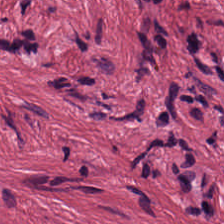H&E stain.
Tissue: cancer-associated stroma.
